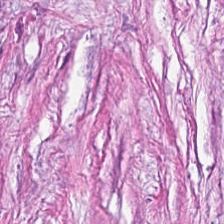Hematoxylin and eosin · 224×224 px tile — Tissue class — tumor stroma.
